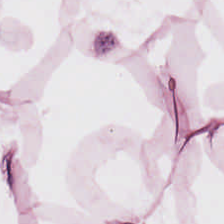Formalin-fixed paraffin-embedded section. H&E — Tissue class = adipose.
